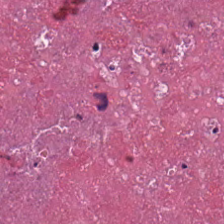H&E — Q: What does this patch show?
A: Cellular debris.
